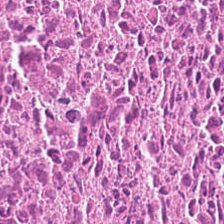Hematoxylin-and-eosin stained section. Q: What tissue is shown?
A: Necrotic debris.
